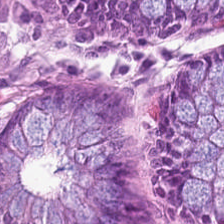Q: What is shown here?
A: Non-neoplastic colon mucosa.
